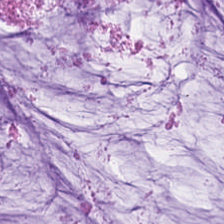H&E-stained tissue section.
This field is mucin.
